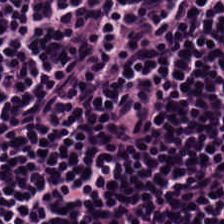Tissue class = lymphocyte aggregate.
